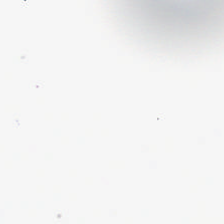H&E — Empty field — no tissue.
